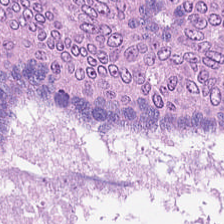{"tissue_type": "adenocarcinoma"}
